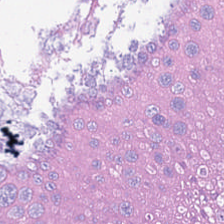Tissue: colorectal adenocarcinoma.
